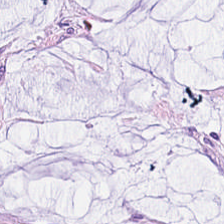Q: What tissue type is shown here?
A: Mucin.
